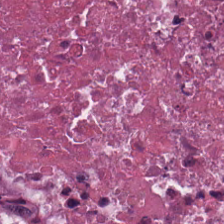0.5 microns per pixel. H&E stain. Whole-slide-image patch.
Predominant tissue — necrotic debris.
